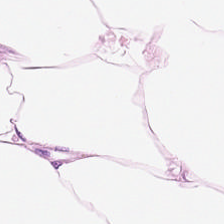Stain: H&E.
Preparation: FFPE.
Tile size: 224×224 px tile.
Tissue type: adipose tissue.
